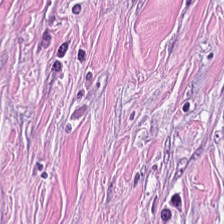Hematoxylin and eosin. Brightfield. Tumor stroma.
